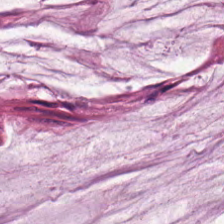Formalin-fixed paraffin-embedded section. 224×224 pixel tile. Hematoxylin-and-eosin stained section. Showing mucin.
